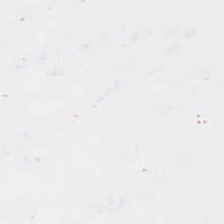This patch shows background (no tissue).
